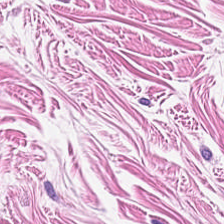H&E-stained tissue section.
Finding → smooth muscle.
